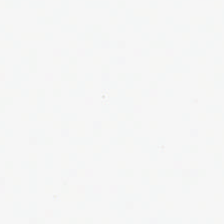Formalin-fixed paraffin-embedded section · H&E-stained tissue section · brightfield microscopy. Classification — background.
